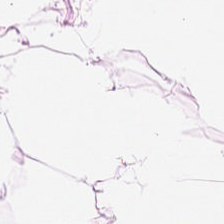224×224 pixel tile. H&E. Formalin-fixed paraffin-embedded section — Predominantly adipose.
